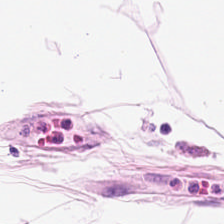Brightfield microscopy · hematoxylin and eosin · 0.5 microns per pixel — Histology → adipose tissue.
